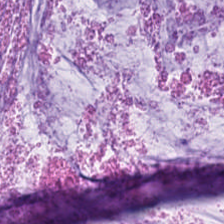H&E; 20× equivalent magnification — Tissue — extracellular mucin.
